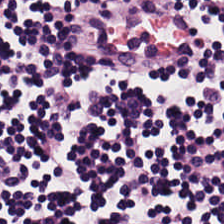H&E-stained tissue section · 0.5 microns per pixel.
The classification is lymphoid infiltrate.
